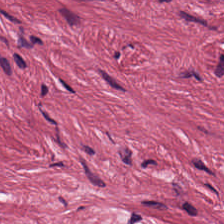224×224 px patch · hematoxylin-and-eosin stained section. This patch shows tumor-associated stroma.
